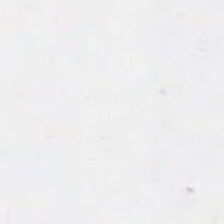Hematoxylin-and-eosin stained section · 20× equivalent magnification · formalin-fixed paraffin-embedded section.
This field is background (no tissue).
